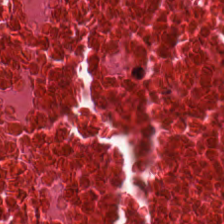Brightfield. Hematoxylin and eosin — The tissue here is debris.
